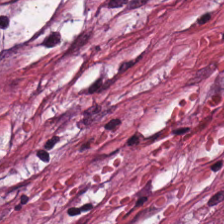224×224 px patch; H&E-stained tissue section — The classification is tumor-associated stroma.
